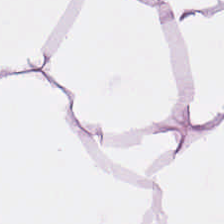H&E stain — Showing adipose tissue.
